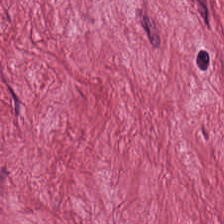Stain: hematoxylin-and-eosin stained section.
Classification: desmoplastic stroma.
